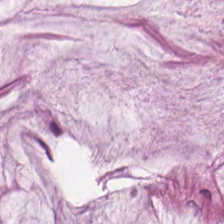H&E. 0.5 microns per pixel.
This field is extracellular mucin.
